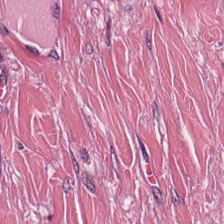Stain: H&E-stained tissue section.
Resolution: 0.5 µm/px.
Predominant tissue: cancer-associated stroma.
